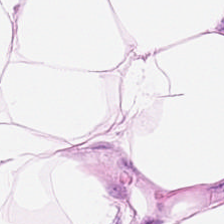H&E stain.
Showing adipocytes.
